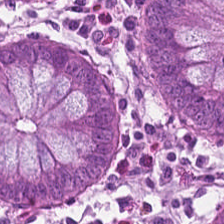H&E stain. Q: What is the predominant tissue type?
A: The field shows benign colonic mucosa.
